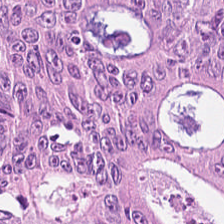Stain: H&E.
Tile size: 224×224 px patch.
Classification: tumor epithelium.
